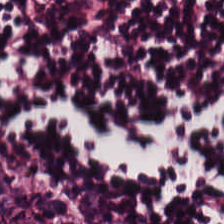Finding — lymphocytic infiltrate.
